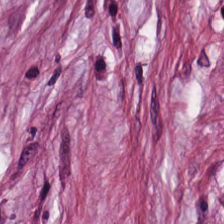Stain: H&E stain.
Predominant tissue: cancer-associated stroma.
